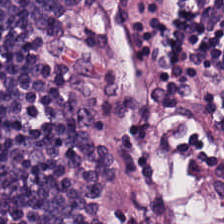Hematoxylin and eosin.
Q: What is shown in this field?
A: This is lymphocytic infiltrate.
